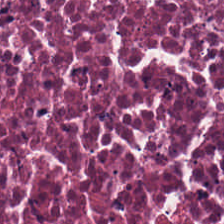Hematoxylin-and-eosin stained section — Predominantly necrotic debris.
